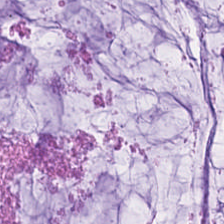The tissue class is extracellular mucin.
